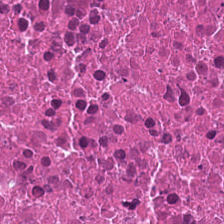Hematoxylin-and-eosin stained section. Brightfield microscopy.
This field is necrotic debris.
